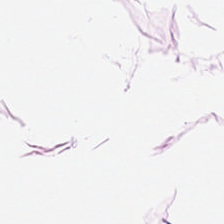FFPE. Hematoxylin and eosin. WSI patch. Histology — adipose tissue.
